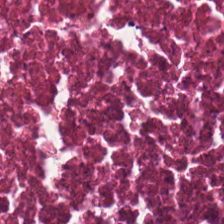0.5 µm/px · H&E stain.
This field is cellular debris.
